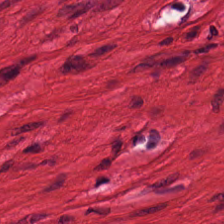Stain: H&E.
Tissue type: smooth muscle.
